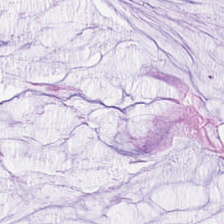Hematoxylin-and-eosin stained section — Tissue type — mucin.
